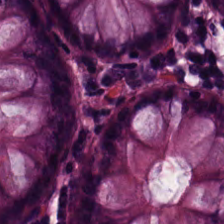H&E stain.
{"tissue_type": "normal colonic mucosa"}
